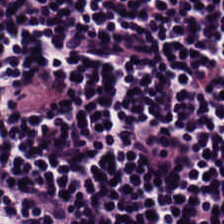FFPE tissue section. H&E.
Finding → lymphocytic infiltrate.
